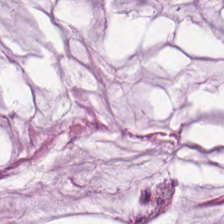H&E-stained tissue section — Q: What does this patch show?
A: The field shows mucus.
